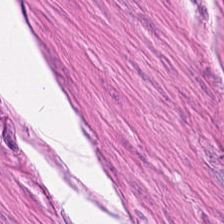This patch shows smooth-muscle tissue.
